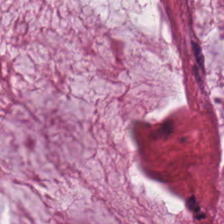H&E-stained section; the field shows mucus.
